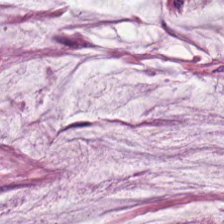H&E-stained section; the field shows extracellular mucin.
